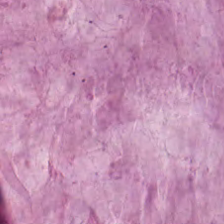Predominant tissue = mucin.
